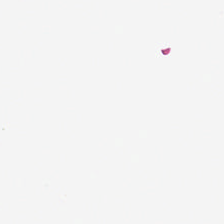Classification — no tissue.
